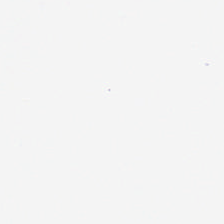224×224 pixel tile · whole-slide-image patch · H&E.
Q: What does this patch show?
A: It is background.
